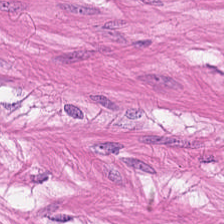0.5 µm per pixel · hematoxylin and eosin — Showing muscularis.
